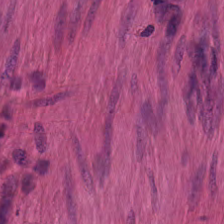Hematoxylin and eosin.
This field is muscularis.
